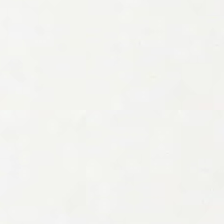Q: What is shown here?
A: This is empty background.
